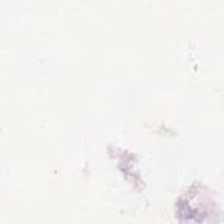Empty field — no tissue.
